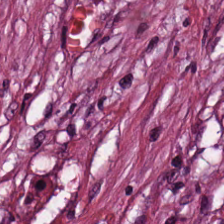H&E stain.
Showing cancer-associated stroma.
